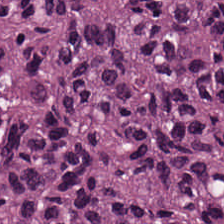20× equivalent magnification. H&E.
The tissue here is adenocarcinoma.
